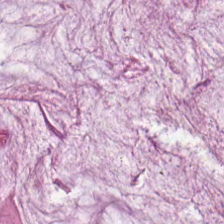H&E stain. Q: What tissue type is shown here?
A: The field shows extracellular mucin.
